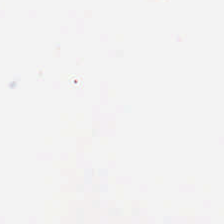H&E. FFPE tissue section. 224×224 px tile — Q: Classify this patch.
A: The field shows background.
